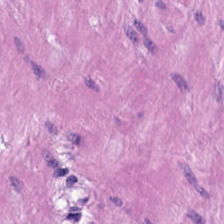Stain: H&E-stained tissue section.
Tissue class: smooth-muscle tissue.
